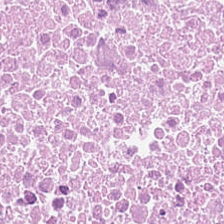0.5 µm/px · H&E-stained tissue section.
Tissue type: necrotic debris.
